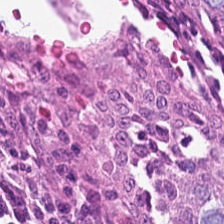H&E — Predominant tissue: normal colonic mucosa.
